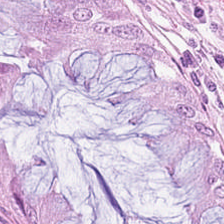WSI patch · 224×224 px tile · H&E-stained tissue section. Q: What is the predominant tissue type?
A: It is benign colonic mucosa.
